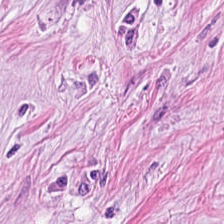224×224 px patch; 20× equivalent magnification; H&E. The tissue here is tumor stroma.
